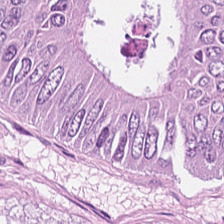H&E — tumor epithelium.
